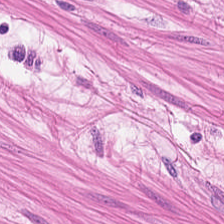20× equivalent magnification. Formalin-fixed paraffin-embedded section. Hematoxylin and eosin — {"tissue_type": "muscularis"}
